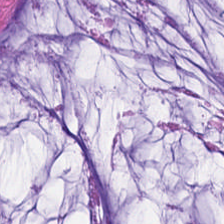H&E; FFPE tissue section — This field is mucus.
